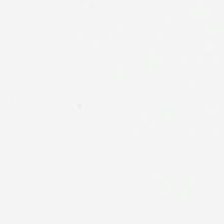20× equivalent magnification. Hematoxylin-and-eosin stained section. WSI patch.
{"content": "empty background"}
